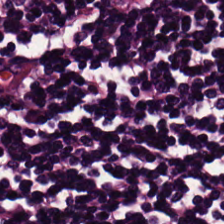Hematoxylin and eosin; formalin-fixed paraffin-embedded section; 224×224 pixel tile — Tissue class — lymphocytes.
